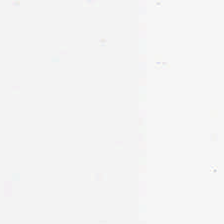Brightfield microscopy. Hematoxylin and eosin.
This field is background (no tissue).
